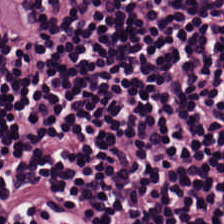H&E-stained tissue section — The tissue is lymphocytes.
